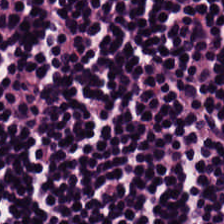Hematoxylin and eosin. This patch shows lymphocytic infiltrate.
